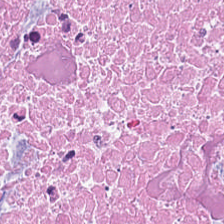Histology → cellular debris.
